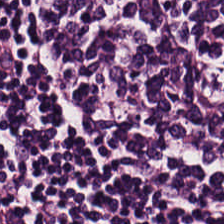Whole-slide-image patch. H&E stain — Tissue class: lymphocytic infiltrate.
